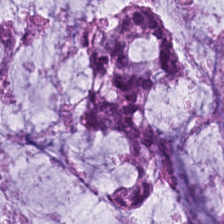Hematoxylin and eosin — Tissue class — mucus.
